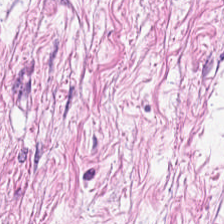20× equivalent magnification; H&E-stained tissue section. Tissue type — cancer-associated stroma.
